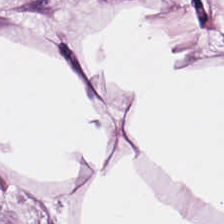H&E. Formalin-fixed paraffin-embedded section — This field is adipocytes.
